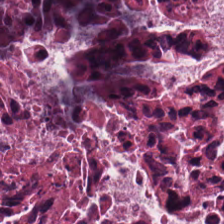H&E stain.
The predominant tissue is cellular debris.
